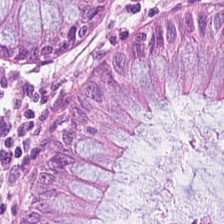FFPE · whole-slide-image patch · H&E — This field is normal colonic mucosa.
